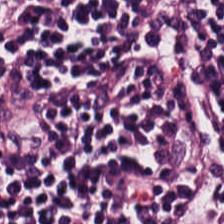The tissue class is lymphocytic infiltrate.
